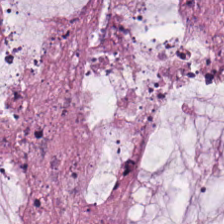0.5 µm per pixel. H&E stain. Predominantly mucus.
